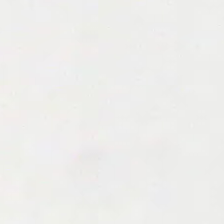Hematoxylin-and-eosin stained section. 224×224 px tile. 0.5 µm per pixel. Field content — empty background.
